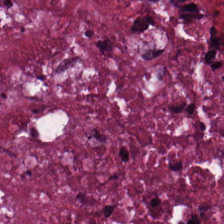Classification = debris.
